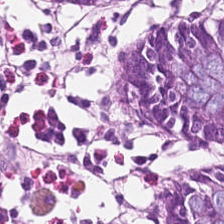Impression — normal colonic mucosa.
